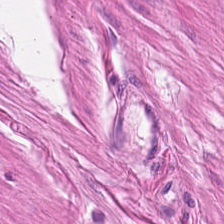Stain: hematoxylin-and-eosin stained section.
Tile size: 224×224 pixel tile.
Predominant tissue: smooth muscle.
